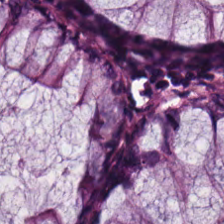Stain: hematoxylin and eosin.
Tissue type: benign colonic mucosa.
